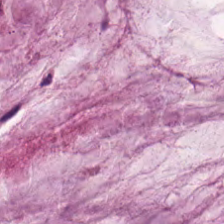Tissue type — mucin.
